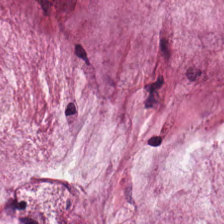The tissue class is mucus.
